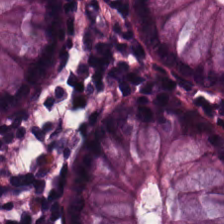H&E stain.
The predominant tissue is normal colonic mucosa.
